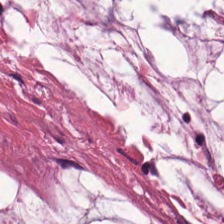Stain: H&E stain.
Tissue class: extracellular mucin.
